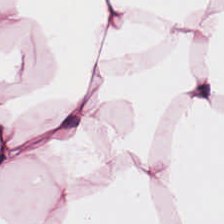224×224 pixel tile · hematoxylin-and-eosin stained section — Showing adipose tissue.
